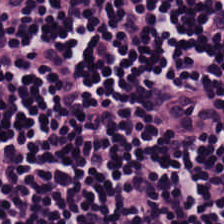Formalin-fixed paraffin-embedded section; H&E stain. {"tissue_type": "lymphoid infiltrate"}
